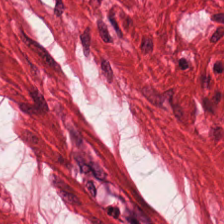Hematoxylin-and-eosin stained section. The predominant tissue is smooth muscle.
